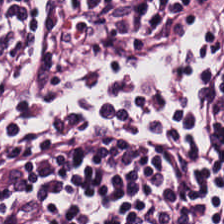0.5 microns per pixel · 224×224 px tile · H&E-stained tissue section. Lymphocytic infiltrate.
